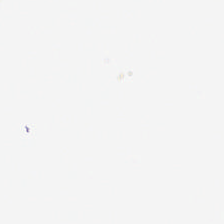H&E stain — Q: Classify this patch.
A: Empty background.
